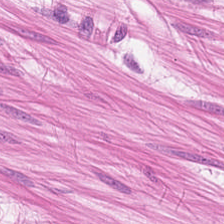FFPE; H&E stain.
Predominant tissue: smooth-muscle tissue.
